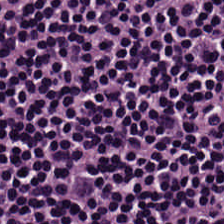H&E.
The tissue type is lymphocytic infiltrate.
